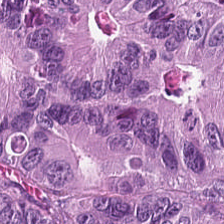H&E stain — Predominantly colorectal adenocarcinoma.
